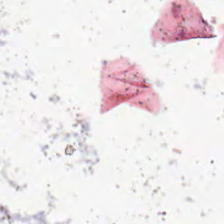Background — no tissue in this field.
